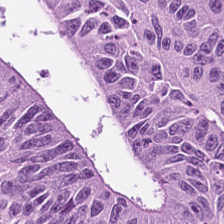H&E-stained tissue section.
{"tissue_type": "malignant epithelium"}
